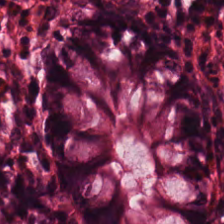0.5 microns per pixel · hematoxylin-and-eosin stained section · 224×224 px tile. This patch shows benign colonic mucosa.
